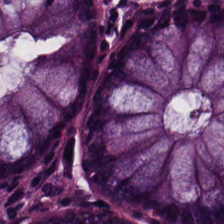Tissue — benign colonic mucosa.
